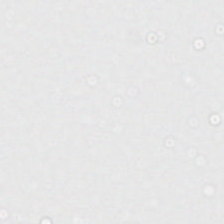H&E-stained tissue section.
This patch shows background (no tissue).
